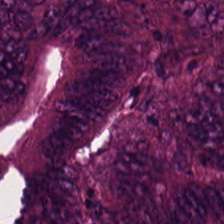Stain: H&E.
Preparation: formalin-fixed paraffin-embedded section.
Tissue class: malignant epithelium.
